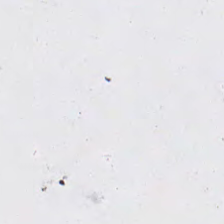Hematoxylin-and-eosin stained section.
This patch shows no tissue.
